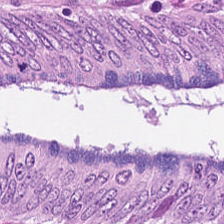Classification = colorectal adenocarcinoma.
